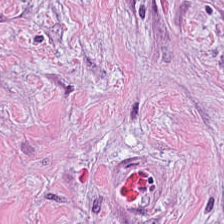224×224 px patch; H&E; brightfield microscopy. Predominant tissue — cancer-associated stroma.
